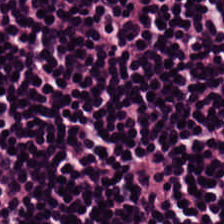H&E-stained tissue section; whole-slide-image patch — Showing lymphoid infiltrate.
